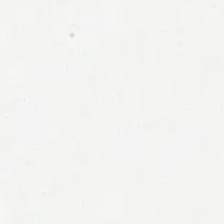Formalin-fixed paraffin-embedded section; H&E-stained tissue section — Histology → no tissue.
